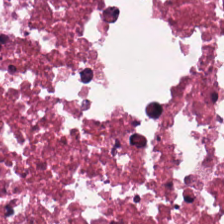Hematoxylin and eosin — Q: What tissue type is shown here?
A: Necrotic debris.
